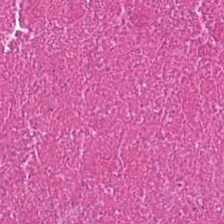Predominant tissue — debris.
